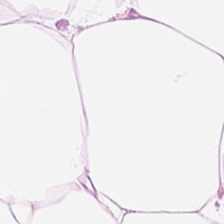FFPE tissue section. H&E stain. Predominant tissue — adipocytes.
